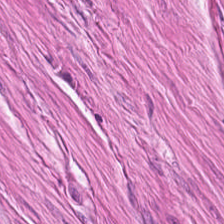The tissue type is smooth muscle.
